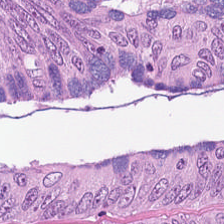H&E stain.
Impression → malignant epithelium.
